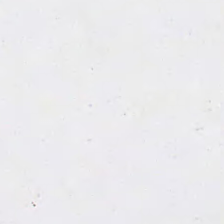H&E. No tissue present; background only.
